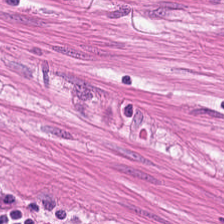Predominant tissue — smooth muscle.
